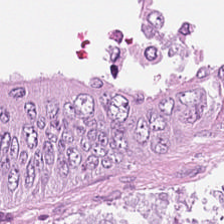This field is adenocarcinoma.
